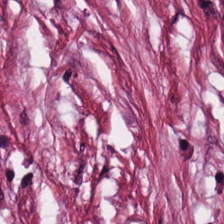Hematoxylin-and-eosin stained section — Showing cancer-associated stroma.
